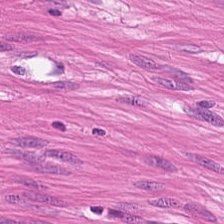Q: What tissue type is shown here?
A: Smooth muscle.
